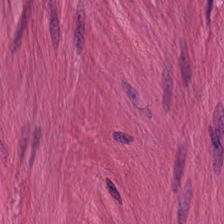H&E · 224×224 px patch — Finding — smooth-muscle tissue.
